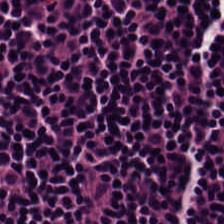Hematoxylin-and-eosin section: lymphocytes.
